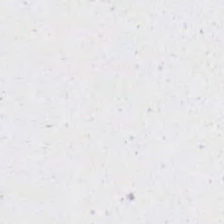Hematoxylin-and-eosin stained section. {"content": "background (no tissue)"}
